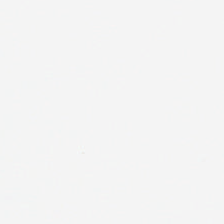Hematoxylin-and-eosin stained section; formalin-fixed paraffin-embedded section — No tissue present; background only.
